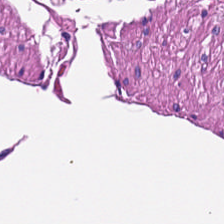H&E stain · 224×224 pixel tile.
Showing muscularis.
